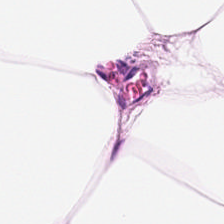0.5 microns per pixel; H&E-stained tissue section.
Q: Identify the tissue.
A: This is adipose.
